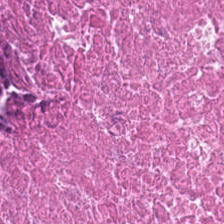Hematoxylin-and-eosin stained section.
The predominant tissue is cellular debris.
